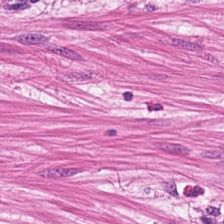Stain: hematoxylin-and-eosin stained section.
Preparation: formalin-fixed paraffin-embedded section.
Tile size: 224×224 px patch.
Tissue: smooth muscle.
